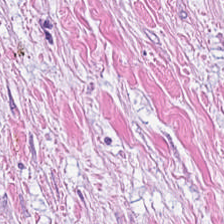H&E-stained tissue section. WSI patch. This field is tumor-associated stroma.
